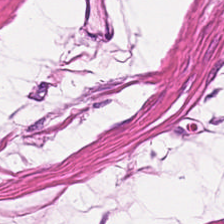Brightfield microscopy · hematoxylin and eosin — This field is smooth-muscle tissue.
